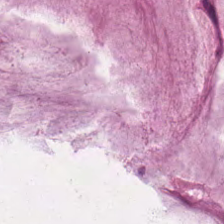Hematoxylin-and-eosin stained section.
Tissue type = mucin.
